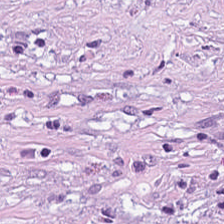H&E-stained tissue section. Q: What tissue type is shown here?
A: The field shows desmoplastic stroma.
